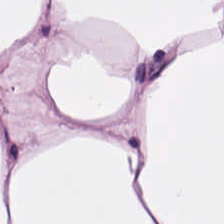H&E.
Q: What does this patch show?
A: The field shows adipose.
